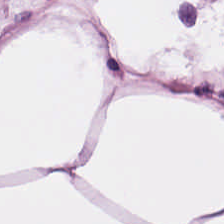Classification = fat tissue.
